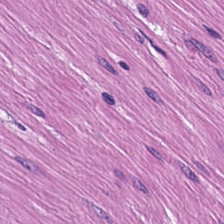224×224 px tile; 20× equivalent magnification; H&E-stained tissue section. Tissue — smooth-muscle tissue.
